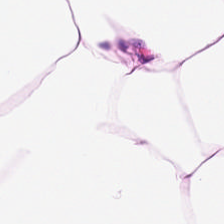H&E.
Tissue — adipocytes.
